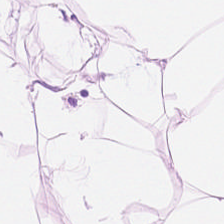Hematoxylin-and-eosin stained section. Predominant tissue: adipose.
